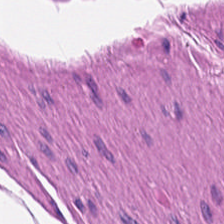FFPE tissue section. Hematoxylin-and-eosin stained section. Tissue class: smooth muscle.
